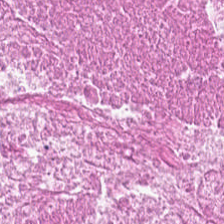H&E stain — Histology → debris.
